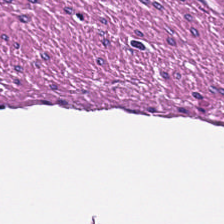Tissue type: muscularis.
